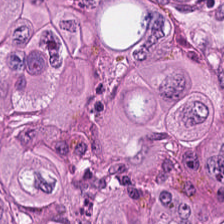FFPE tissue section; hematoxylin-and-eosin stained section.
Q: Identify the tissue.
A: It is colorectal adenocarcinoma epithelium.
